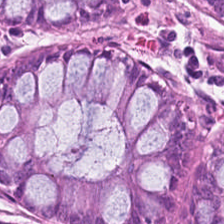H&E; 224×224 px patch.
Tissue type — normal colonic mucosa.
